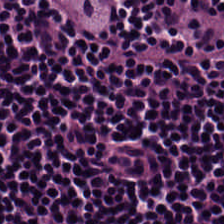H&E stain. Finding → lymphocytic infiltrate.
